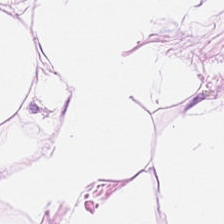Stain: hematoxylin-and-eosin stained section.
Acquisition: brightfield.
Tissue class: adipose tissue.
